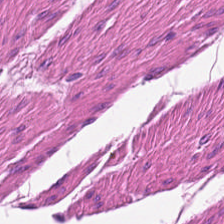Hematoxylin and eosin.
Tissue class — smooth muscle.
